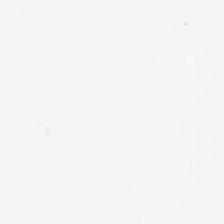H&E stain.
Empty field — no tissue.
